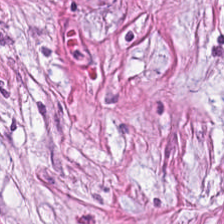FFPE · H&E · 224×224 px patch.
Histology — cancer-associated stroma.
